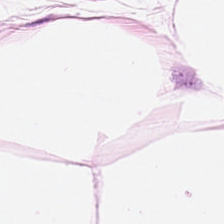H&E-stained tissue section; whole-slide-image patch; 0.5 µm/px. Impression — adipocytes.
